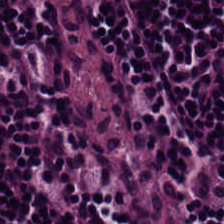H&E-stained tissue section showing lymphocytic infiltrate.
